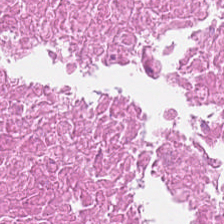Classification: debris.
